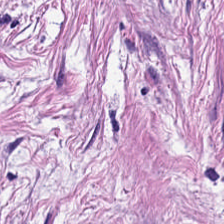Brightfield microscopy. Hematoxylin-and-eosin stained section. 0.5 µm per pixel. The tissue type is cancer-associated stroma.
